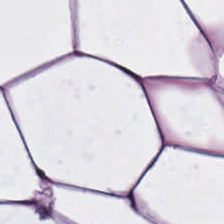H&E-stained tissue section.
Showing fat tissue.
